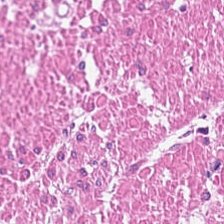H&E-stained section; the field shows muscularis.
